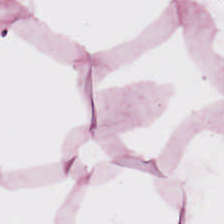Stain: H&E stain.
Predominant tissue: adipocytes.
